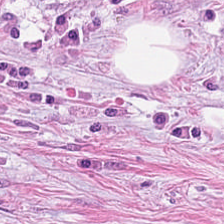H&E stain — The tissue here is tumor-associated stroma.
